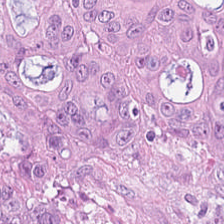224×224 pixel tile · H&E-stained tissue section · FFPE tissue section. {"tissue_type": "malignant epithelium"}
